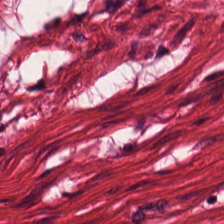H&E-stained section; the field shows smooth muscle.
